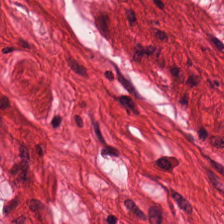Impression — muscularis.
